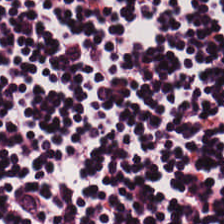0.5 microns per pixel; hematoxylin and eosin; formalin-fixed paraffin-embedded section.
This patch shows lymphocytes.
